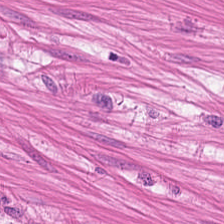Finding → smooth muscle.
